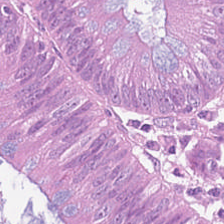Q: What does this patch show?
A: Malignant epithelium.
